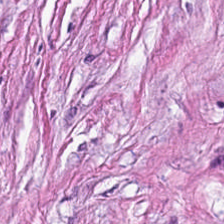Hematoxylin-and-eosin stained section. FFPE — The tissue here is tumor stroma.
